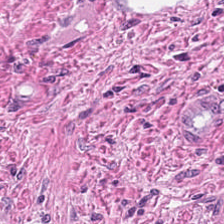Hematoxylin-and-eosin stained section.
Q: What tissue type is shown here?
A: This is tumor-associated stroma.
